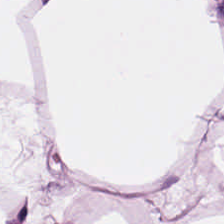H&E — adipocytes.
